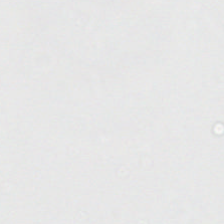Hematoxylin-and-eosin stained section. WSI patch.
Empty field — empty background.
